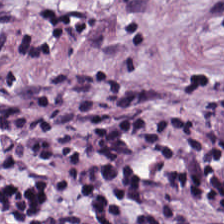Whole-slide-image patch; 224×224 pixel tile; H&E.
Q: What is the predominant tissue type?
A: The field shows cancer-associated stroma.
